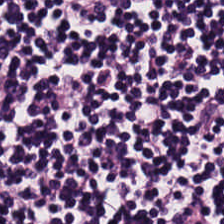FFPE tissue section · hematoxylin-and-eosin stained section.
Predominantly lymphocytes.
